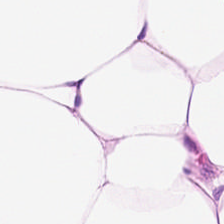H&E.
The predominant tissue is adipocytes.
